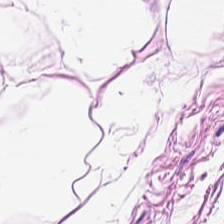224×224 pixel tile · hematoxylin-and-eosin stained section — Finding → adipose.
